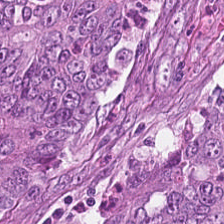Stain: H&E.
Tile size: 224×224 px patch.
Resolution: 0.5 µm per pixel.
Classification: adenocarcinoma.
